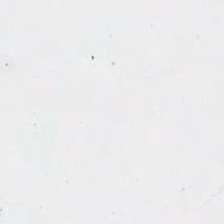Brightfield. Hematoxylin-and-eosin stained section.
Empty field — background (no tissue).
